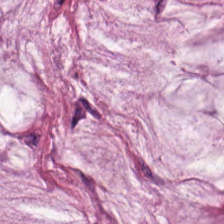Q: Identify the tissue.
A: This is mucus.
